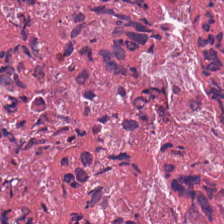H&E-stained tissue section showing debris.
